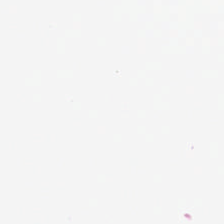Stain: H&E.
Classification: no tissue.
